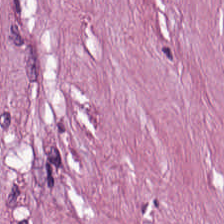Hematoxylin-and-eosin stained section — The predominant tissue is tumor-associated stroma.
